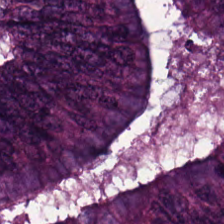Hematoxylin-and-eosin stained section · 0.5 microns per pixel. {"tissue_type": "tumor epithelium"}
